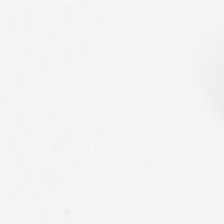Hematoxylin-and-eosin stained section.
Field content — background (no tissue).
